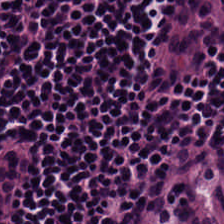Hematoxylin-and-eosin stained section. 20× equivalent magnification.
Q: What is shown here?
A: This is lymphocytes.
